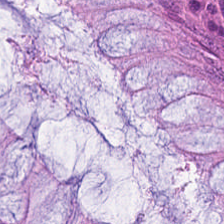H&E stain. FFPE tissue section. 224×224 px tile — Q: What is the predominant tissue type?
A: This is benign colonic mucosa.
